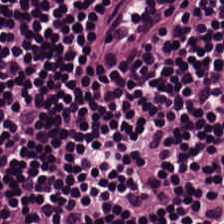Hematoxylin and eosin — Q: What type of tissue is this?
A: This is lymphocytes.
